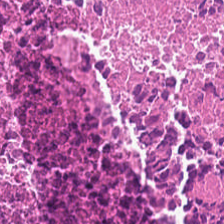H&E.
Q: What type of tissue is this?
A: The field shows necrotic debris.
